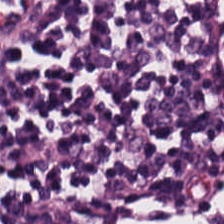Brightfield; hematoxylin-and-eosin stained section. This field is lymphoid infiltrate.
